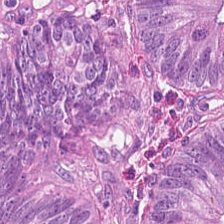Brightfield · H&E-stained tissue section — The tissue type is colorectal adenocarcinoma epithelium.
